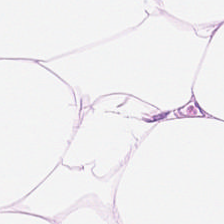Tissue class = fat tissue.
